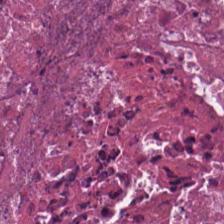H&E-stained tissue section showing debris.
